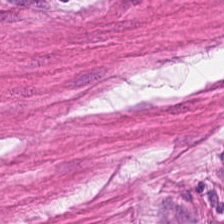Tissue class — smooth-muscle tissue.
